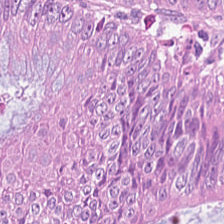Stain: hematoxylin-and-eosin stained section.
Predominant tissue: malignant epithelium.
